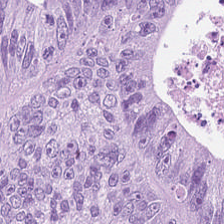Stain: H&E stain.
Tissue: tumor epithelium.
